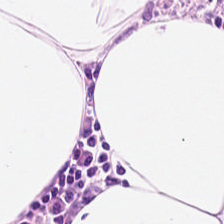Brightfield microscopy. H&E-stained tissue section.
Classification: adipocytes.
